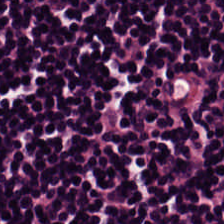Classification = lymphocytic infiltrate.
